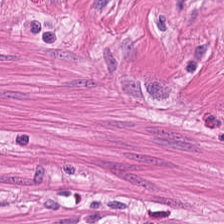H&E patch showing smooth-muscle tissue.
